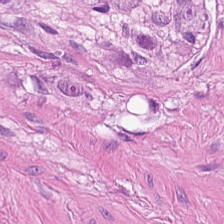224×224 px tile. Formalin-fixed paraffin-embedded section. Hematoxylin and eosin.
Q: What tissue type is shown here?
A: This is smooth muscle.
